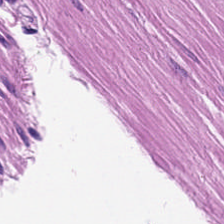H&E stain; brightfield — {"tissue_type": "muscularis"}
